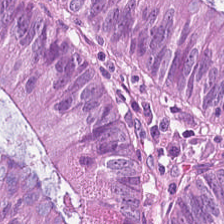Brightfield · hematoxylin and eosin.
Impression — malignant epithelium.
